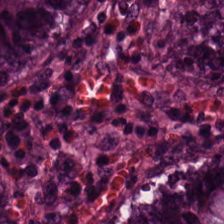Hematoxylin and eosin · brightfield microscopy. The tissue is normal colonic mucosa.
